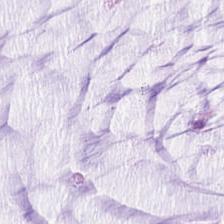Hematoxylin-and-eosin section: mucus.
